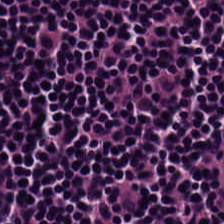H&E-stained tissue section. Lymphocyte aggregate.
